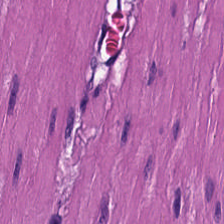20× equivalent magnification; H&E-stained tissue section; FFPE.
This field is smooth-muscle tissue.
